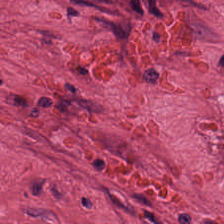H&E; 20× equivalent magnification; 224×224 px patch — Predominantly desmoplastic stroma.
